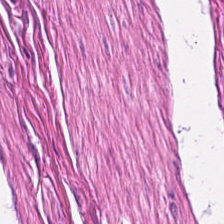Hematoxylin and eosin.
Tissue: smooth-muscle tissue.
